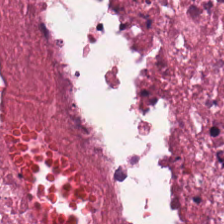WSI patch; H&E. The classification is necrotic debris.
